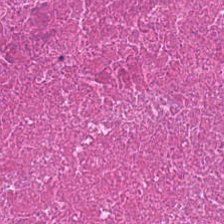FFPE tissue section; hematoxylin-and-eosin stained section. The tissue class is debris.
